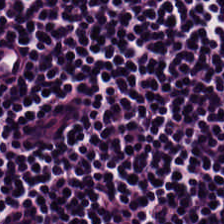0.5 µm per pixel; H&E stain; formalin-fixed paraffin-embedded section — The tissue here is lymphoid infiltrate.
